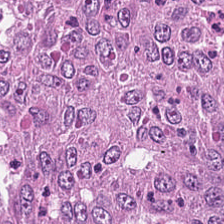224×224 pixel tile. H&E-stained tissue section.
The predominant tissue is tumor epithelium.
